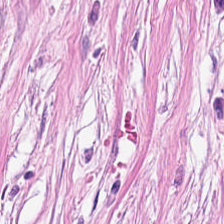Finding → tumor stroma.
